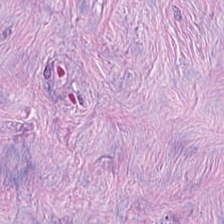H&E stain · whole-slide-image patch.
Showing cancer-associated stroma.
